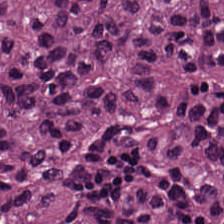Brightfield; H&E-stained tissue section; 0.5 µm/px — Tissue type: adenocarcinoma.
